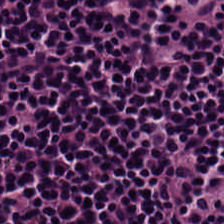{"tissue_type": "lymphocytes"}
